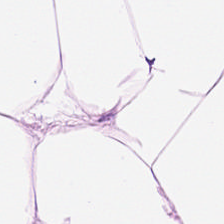Hematoxylin and eosin; FFPE tissue section.
The tissue here is adipocytes.
